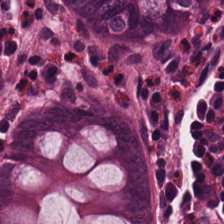Predominantly non-neoplastic colon mucosa.
